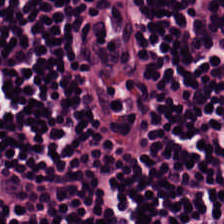Stain: H&E stain.
Acquisition: brightfield.
Classification: lymphocyte aggregate.
